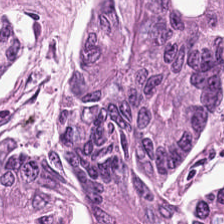Hematoxylin-and-eosin stained section · 20× equivalent magnification. Tissue type — colorectal adenocarcinoma.
